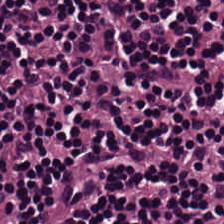224×224 px tile. Hematoxylin and eosin. Finding → lymphocytes.
